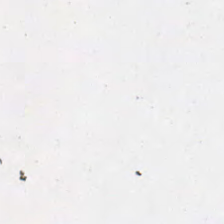Hematoxylin-and-eosin stained section; 0.5 µm per pixel — No tissue.
